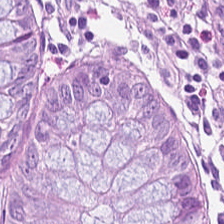224×224 pixel tile. H&E stain.
{"tissue_type": "normal colonic mucosa"}
